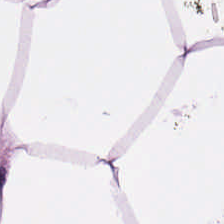WSI patch. H&E. Q: What is shown in this field?
A: This is adipocytes.
